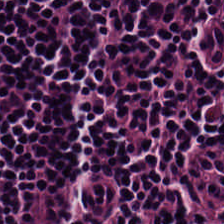Hematoxylin and eosin — The classification is lymphocytes.
